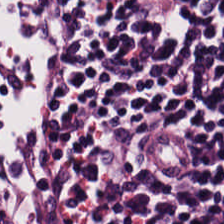Tissue class = lymphocytes.
